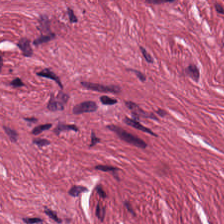Hematoxylin-and-eosin stained section. Histology → tumor-associated stroma.
